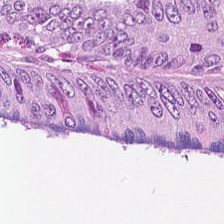H&E stain.
Predominantly colorectal adenocarcinoma.
